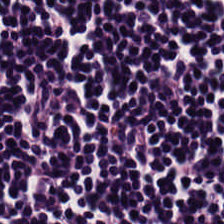Hematoxylin and eosin. Q: What is shown in this field?
A: This is lymphocytic infiltrate.
